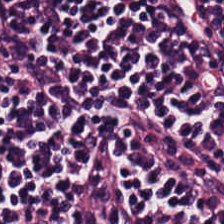H&E-stained tissue section.
The tissue here is lymphocyte aggregate.
